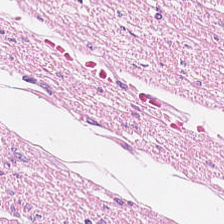Whole-slide-image patch · H&E stain.
Impression → smooth muscle.
